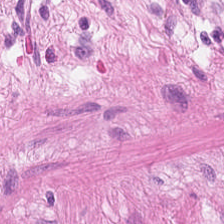Stain: hematoxylin-and-eosin stained section.
Classification: muscularis.
